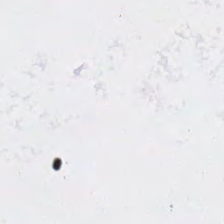Content: background.
